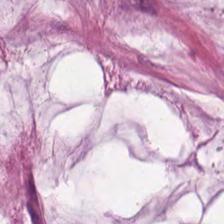H&E.
Histology — mucus.
